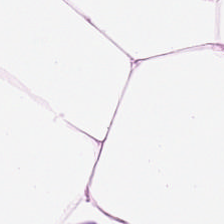Brightfield. H&E stain. Classification — adipocytes.
